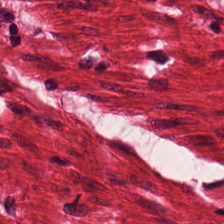H&E patch showing smooth muscle.
